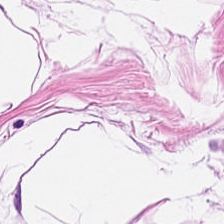Hematoxylin-and-eosin stained section.
Tissue class: adipose.
